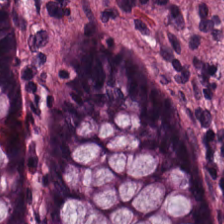Stain: H&E.
Tile size: 224×224 px tile.
Tissue: normal colonic mucosa.
